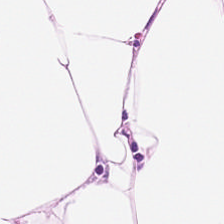H&E-stained section; the field shows adipocytes.
